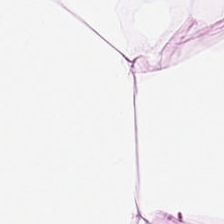FFPE tissue section. H&E-stained tissue section. 0.5 microns per pixel — Predominantly adipocytes.
